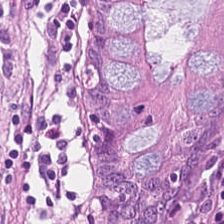H&E stain. 224×224 px tile. This field is normal colonic mucosa.
